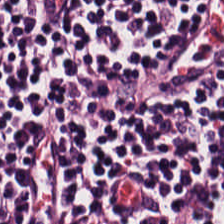Stain: hematoxylin-and-eosin stained section.
Predominant tissue: lymphocytes.
